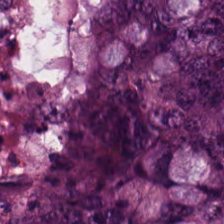Hematoxylin-and-eosin stained section · FFPE. The tissue here is tumor epithelium.
